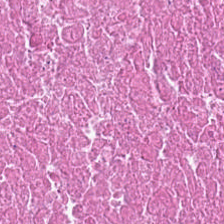Hematoxylin-and-eosin stained section · 224×224 pixel tile · 0.5 µm per pixel — Impression → cellular debris.
